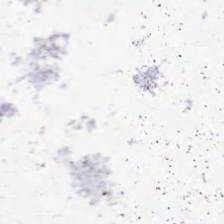H&E stain.
This patch shows no tissue.
